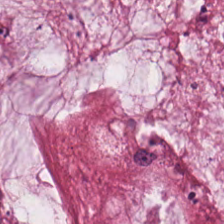H&E. 224×224 pixel tile — Tissue class: mucin.
